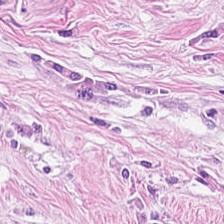Hematoxylin-and-eosin section: tumor stroma.
